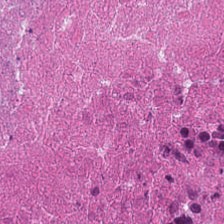Hematoxylin-and-eosin stained section · formalin-fixed paraffin-embedded section · 20× equivalent magnification. Predominantly cellular debris.
